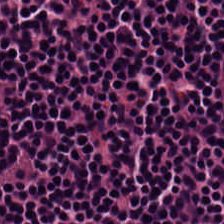FFPE; H&E.
This field is lymphoid infiltrate.
